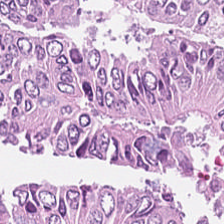H&E-stained tissue section. WSI patch. Tissue = tumor epithelium.
